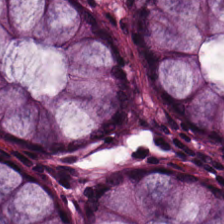Formalin-fixed paraffin-embedded section; hematoxylin and eosin; 0.5 µm per pixel. Finding — non-neoplastic colon mucosa.
